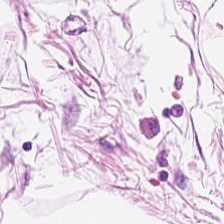Histology — adipocytes.
